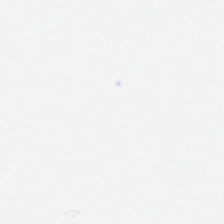Content: empty background.
